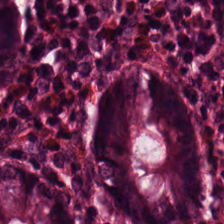Hematoxylin and eosin. Showing benign colonic mucosa.
